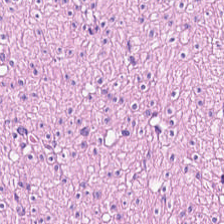Hematoxylin and eosin — Impression → smooth muscle.
